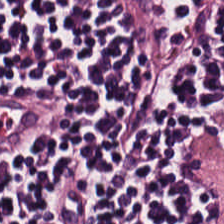Hematoxylin-and-eosin section: lymphocytes.
